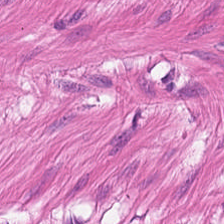Hematoxylin-and-eosin stained section — {"tissue_type": "muscularis"}
